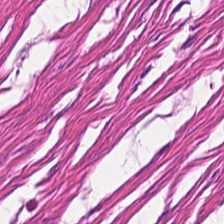20× equivalent magnification. Brightfield. Hematoxylin-and-eosin stained section — This patch shows smooth-muscle tissue.
